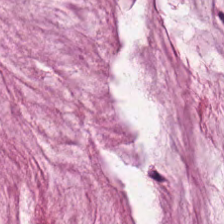Formalin-fixed paraffin-embedded section · 0.5 µm per pixel · hematoxylin-and-eosin stained section.
This field is mucus.
